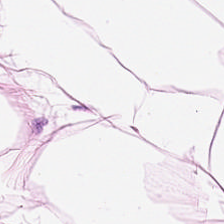Hematoxylin and eosin — The tissue here is adipocytes.
